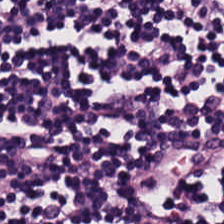Stain: H&E-stained tissue section.
Preparation: FFPE.
Predominant tissue: lymphocyte aggregate.
